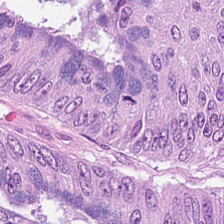H&E-stained tissue section — {"tissue_type": "malignant epithelium"}
